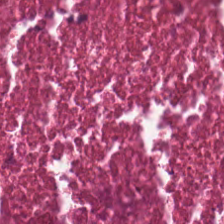224×224 pixel tile. Hematoxylin and eosin. 0.5 µm per pixel. Classification = debris.
